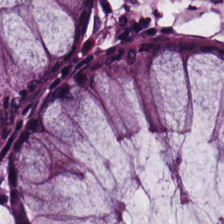Hematoxylin-and-eosin stained section — Impression — non-neoplastic colon mucosa.
